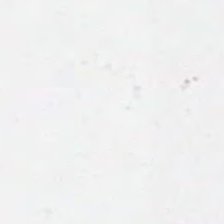H&E stain.
This field is background (no tissue).
